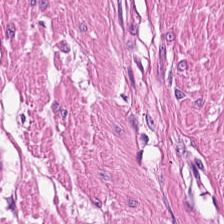H&E · FFPE tissue section. Q: Identify the tissue.
A: This is smooth muscle.
